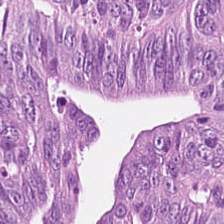Brightfield · 224×224 pixel tile · hematoxylin-and-eosin stained section. Predominantly malignant epithelium.
